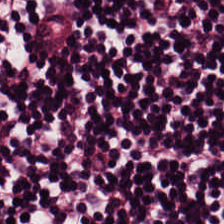Brightfield. 20× equivalent magnification. H&E-stained tissue section. Showing lymphocytic infiltrate.
